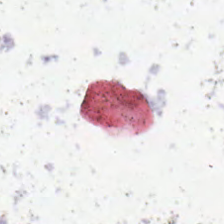0.5 µm per pixel; H&E; 224×224 px patch.
This patch shows background (no tissue).
